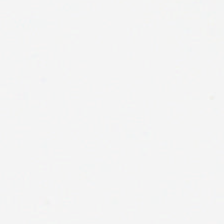H&E. Q: What is shown here?
A: Background.
